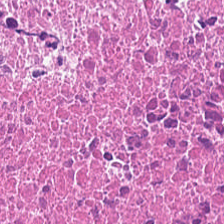FFPE tissue section; hematoxylin-and-eosin stained section; 224×224 px tile.
The classification is cellular debris.
